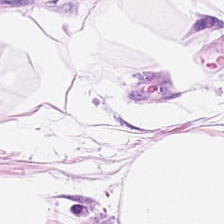Hematoxylin-and-eosin stained section.
Q: What does this patch show?
A: Adipose.
